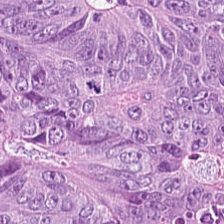{"tissue_type": "tumor epithelium"}
